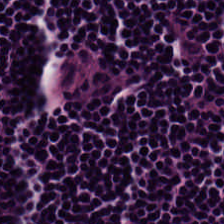224×224 px patch. 20× equivalent magnification. H&E. Finding — lymphocytic infiltrate.
